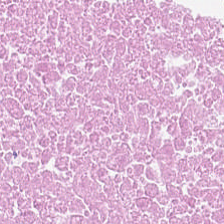Impression — debris.
